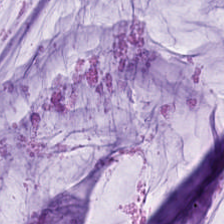H&E. Histology — mucin.
